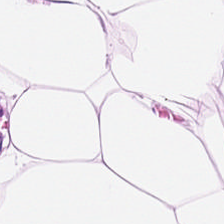Hematoxylin and eosin. Whole-slide-image patch — The tissue here is adipose.
